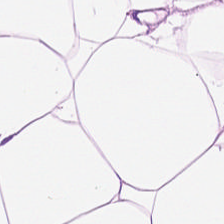H&E-stained tissue section; FFPE. Tissue: adipocytes.
